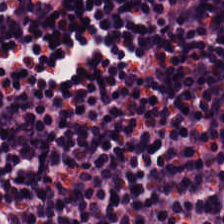Stain: H&E stain.
Classification: lymphocyte aggregate.
